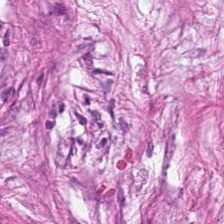Hematoxylin and eosin.
Classification: cancer-associated stroma.
